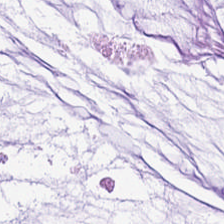Hematoxylin and eosin · 224×224 px patch. Q: What is shown in this field?
A: The field shows extracellular mucin.
